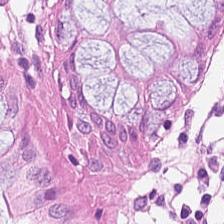Predominantly normal colonic mucosa.
